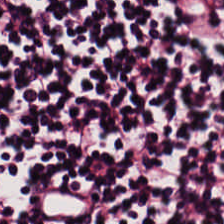Hematoxylin and eosin. This patch shows lymphocytic infiltrate.
